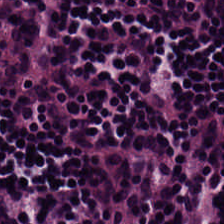H&E-stained tissue section.
Q: What is the predominant tissue type?
A: The field shows lymphocytes.
